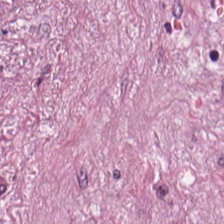Stain: hematoxylin-and-eosin stained section.
Tissue class: cancer-associated stroma.
